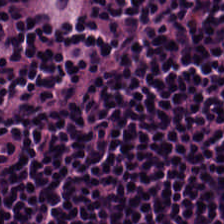Predominantly lymphoid infiltrate.
